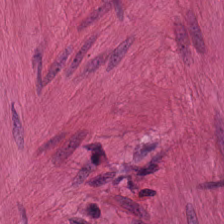{"tissue_type": "smooth-muscle tissue"}
